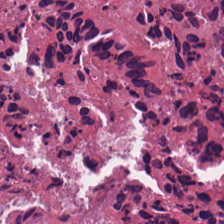Brightfield. 0.5 microns per pixel. H&E. This patch shows necrotic debris.
